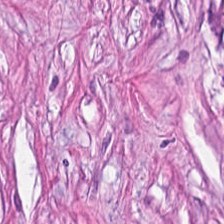Stain: hematoxylin-and-eosin stained section.
Acquisition: whole-slide-image patch.
Tissue type: tumor-associated stroma.
